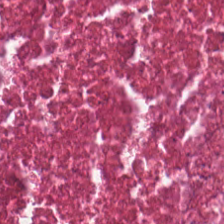Predominantly debris.
